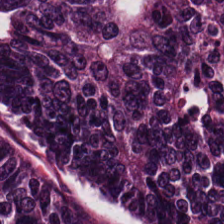Showing colorectal adenocarcinoma epithelium.
